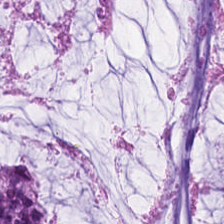Brightfield · H&E. Predominantly mucus.
